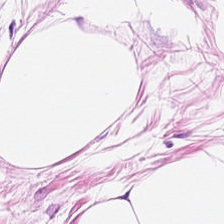Q: Classify this patch.
A: It is adipose.
